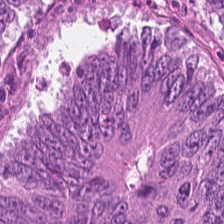Impression → adenocarcinoma.
